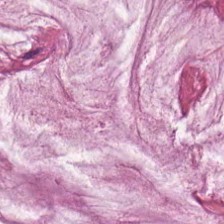The tissue is mucin.
